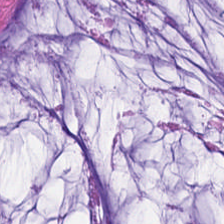Stain: H&E-stained tissue section.
Tissue type: mucin.
